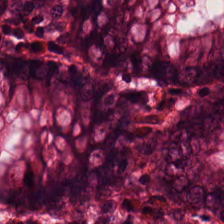Hematoxylin and eosin. The tissue here is normal colon mucosa.
